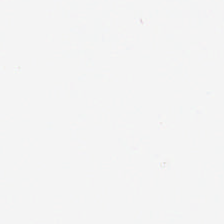This patch shows background.
